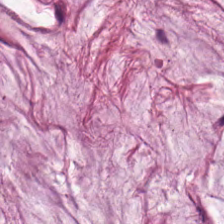Classification — mucus.
